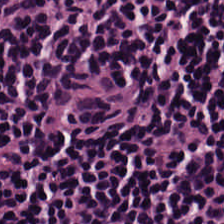H&E. Showing lymphocytic infiltrate.
